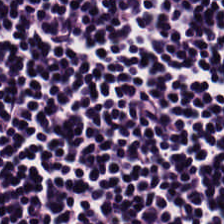224×224 px tile; hematoxylin and eosin.
The tissue here is lymphoid infiltrate.
